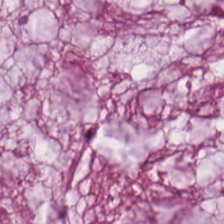H&E stain — Showing mucus.
